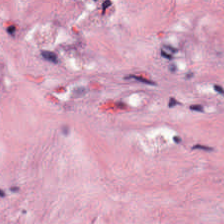Hematoxylin-and-eosin stained section — Predominantly tumor-associated stroma.
